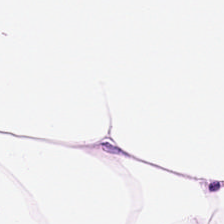H&E-stained tissue section.
This patch shows fat tissue.
